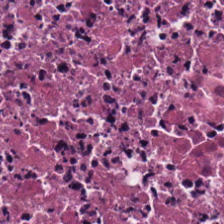224×224 px tile; H&E-stained tissue section. {"tissue_type": "cellular debris"}
